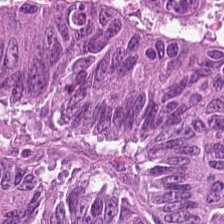Formalin-fixed paraffin-embedded section · hematoxylin and eosin · 224×224 px patch — Tissue class: colorectal adenocarcinoma epithelium.
